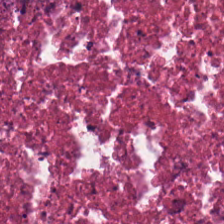H&E-stained tissue section · 0.5 µm/px · formalin-fixed paraffin-embedded section.
Q: What is shown in this field?
A: Debris.
